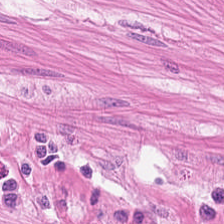H&E. Q: What is the predominant tissue type?
A: It is smooth-muscle tissue.
